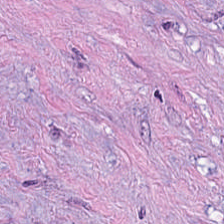Tumor stroma.
